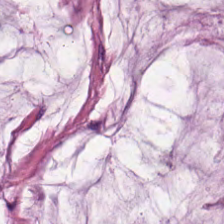H&E stain · brightfield microscopy. This patch shows extracellular mucin.
